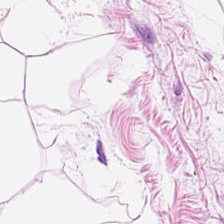Whole-slide-image patch · H&E-stained tissue section.
{"tissue_type": "adipose"}
